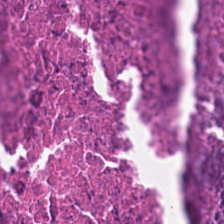Brightfield; 224×224 px tile; H&E-stained tissue section.
Q: Identify the tissue.
A: This is cellular debris.
